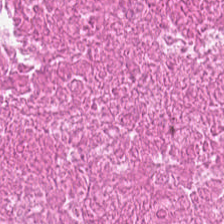H&E. 224×224 pixel tile. 0.5 microns per pixel. Predominantly necrotic debris.
